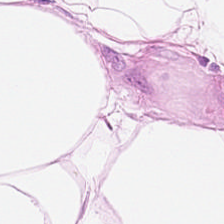Tissue type: adipose tissue.
